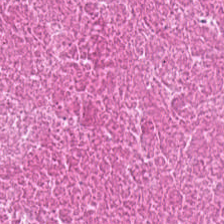FFPE; hematoxylin-and-eosin stained section. The predominant tissue is necrotic debris.
